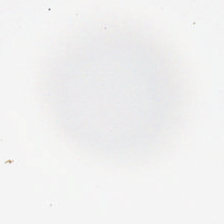FFPE tissue section · hematoxylin and eosin · 0.5 microns per pixel. Q: What does this patch show?
A: The field shows background.
